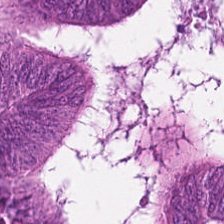H&E-stained tissue section.
Q: What is shown here?
A: Malignant epithelium.
